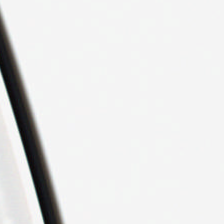H&E. Q: Classify this patch.
A: It is background.
